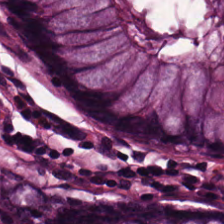Hematoxylin and eosin — Q: What tissue type is shown here?
A: The field shows normal colonic mucosa.
